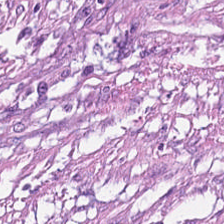Predominant tissue: cancer-associated stroma.
